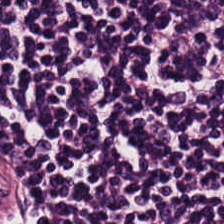0.5 µm per pixel; H&E.
Finding → lymphocyte aggregate.
